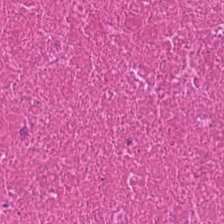Showing necrotic debris.
